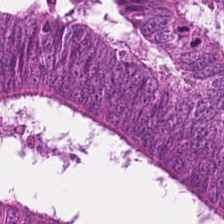Hematoxylin and eosin. Q: Classify this patch.
A: It is malignant epithelium.
